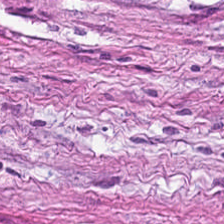H&E. This field is tumor-associated stroma.
